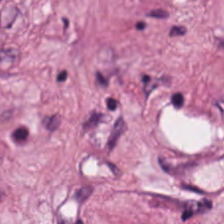224×224 px tile. H&E-stained tissue section. Predominant tissue: tumor-associated stroma.
